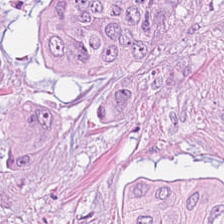Hematoxylin-and-eosin stained section — Predominant tissue = malignant epithelium.
